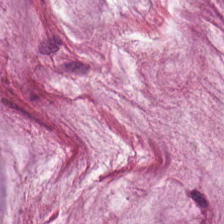Hematoxylin-and-eosin stained section.
This patch shows mucin.
